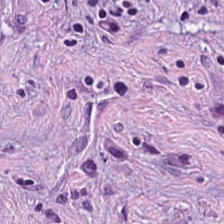The tissue here is tumor stroma.
